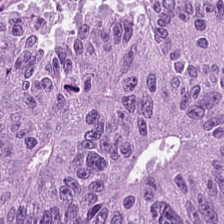Hematoxylin-and-eosin stained section. 224×224 pixel tile — Tissue — malignant epithelium.
